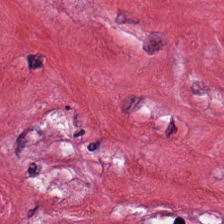Hematoxylin and eosin. This patch shows tumor stroma.
